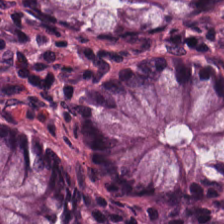Whole-slide-image patch; hematoxylin-and-eosin stained section. Tissue class — benign colonic mucosa.
